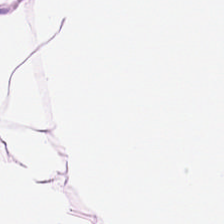FFPE tissue section. H&E. 224×224 px patch.
Tissue type = adipocytes.
